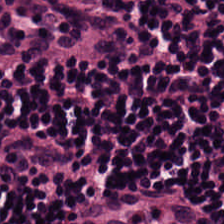Hematoxylin-and-eosin stained section.
Lymphocyte aggregate.
